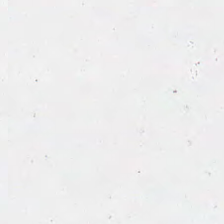20× equivalent magnification; FFPE; H&E — Q: What is shown here?
A: It is background (no tissue).
